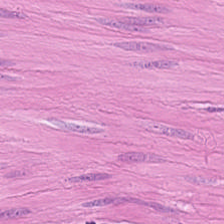Hematoxylin and eosin · FFPE tissue section. Predominantly smooth muscle.
